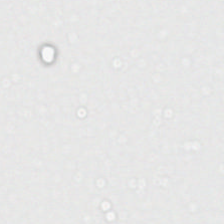Field content = no tissue.
